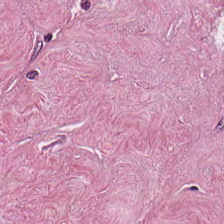H&E-stained tissue section.
Predominant tissue = tumor stroma.
